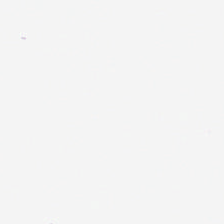224×224 px tile. H&E stain — Field content = background (no tissue).
